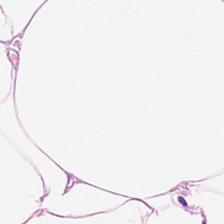H&E.
Tissue class: adipose tissue.
